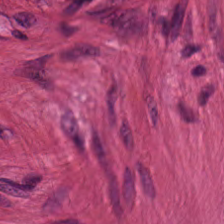FFPE tissue section · hematoxylin and eosin · whole-slide-image patch — Predominant tissue: muscularis.
